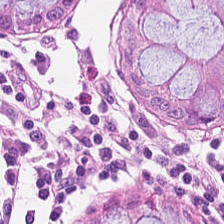This field is normal colon mucosa.
